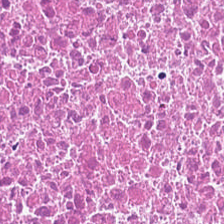H&E.
Histology → cellular debris.
